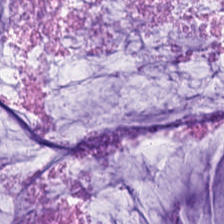0.5 µm/px. Brightfield microscopy. H&E.
Showing extracellular mucin.
